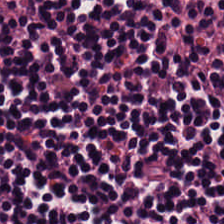FFPE; 0.5 microns per pixel; H&E stain.
Q: What is shown in this field?
A: Lymphocyte aggregate.
